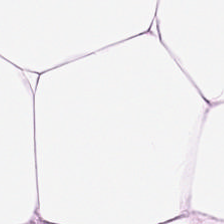Hematoxylin-and-eosin section: fat tissue.
